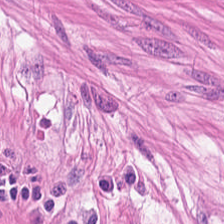Classification — smooth-muscle tissue.
